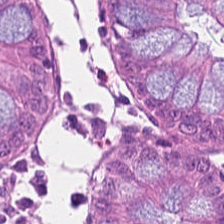H&E — The tissue here is non-neoplastic colon mucosa.
